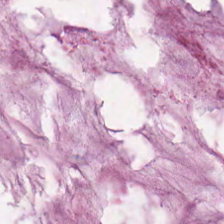Hematoxylin-and-eosin stained section — The tissue is mucin.
